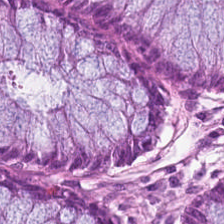H&E-stained tissue section. {"tissue_type": "non-neoplastic colon mucosa"}
